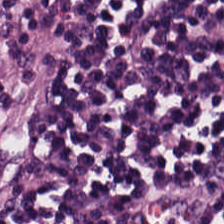Brightfield · 224×224 pixel tile · H&E stain — Q: What does this patch show?
A: This is lymphocytic infiltrate.
